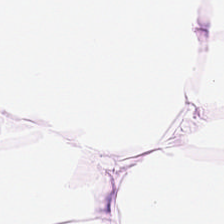Hematoxylin-and-eosin stained section.
This patch shows adipose tissue.
